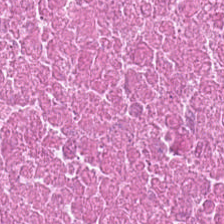Q: What type of tissue is this?
A: The field shows necrotic debris.
